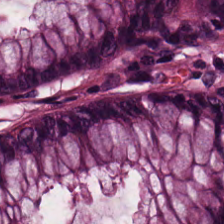Hematoxylin-and-eosin stained section. This patch shows normal colonic mucosa.
